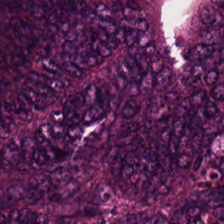H&E-stained tissue section. Formalin-fixed paraffin-embedded section — Q: What tissue is shown?
A: This is colorectal adenocarcinoma epithelium.
